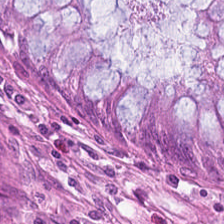Formalin-fixed paraffin-embedded section; hematoxylin and eosin.
Tissue = benign colonic mucosa.
